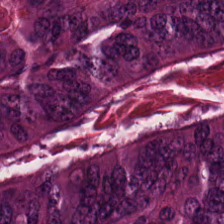H&E-stained tissue section.
Predominantly adenocarcinoma.
